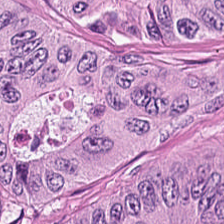H&E; 20× equivalent magnification. Tissue class = tumor epithelium.
